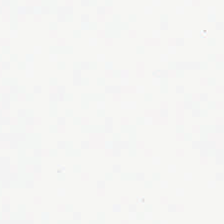H&E-stained tissue section — Finding → empty background.
